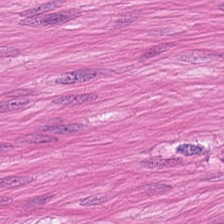H&E; 224×224 pixel tile. This field is muscularis.
